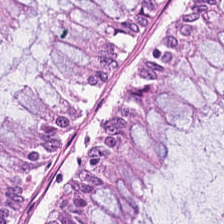Stain: H&E-stained tissue section.
Tissue: non-neoplastic colon mucosa.
